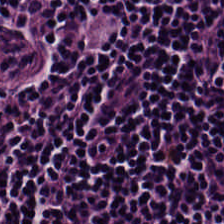The tissue here is lymphocyte aggregate.
